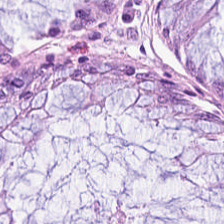FFPE · 20× equivalent magnification · H&E — Predominant tissue — normal colonic mucosa.
